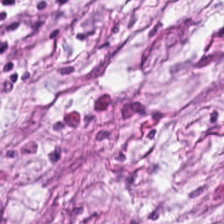Tissue: tumor stroma.
